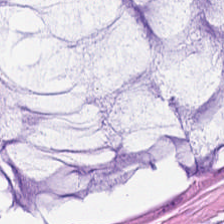Hematoxylin-and-eosin stained section. 0.5 µm/px. Impression → mucin.
